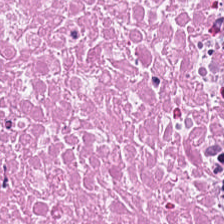Hematoxylin and eosin — Classification — debris.
